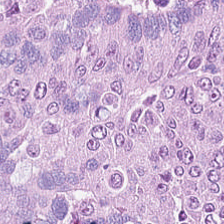H&E.
Q: Identify the tissue.
A: The field shows tumor epithelium.
